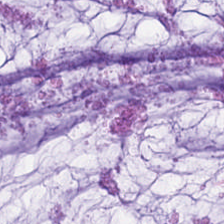Formalin-fixed paraffin-embedded section · 20× equivalent magnification · hematoxylin-and-eosin stained section. This patch shows extracellular mucin.
